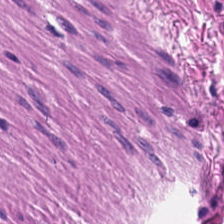H&E-stained section; the field shows smooth muscle.
